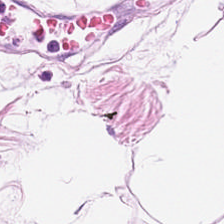H&E-stained tissue section — Showing adipose.
